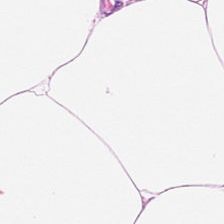Stain: H&E stain.
Resolution: 20× equivalent magnification.
Acquisition: whole-slide-image patch.
Tissue: adipocytes.
